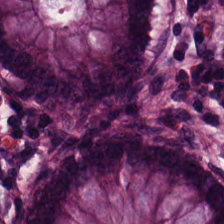The tissue here is normal colonic mucosa.
